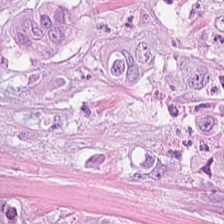Whole-slide-image patch; H&E stain; 224×224 px patch. Adenocarcinoma.
